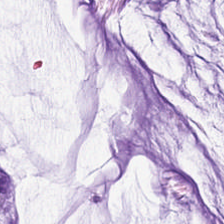H&E. Formalin-fixed paraffin-embedded section. Brightfield microscopy. Q: What is the predominant tissue type?
A: The field shows extracellular mucin.
